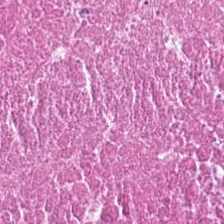Q: Classify this patch.
A: It is necrotic debris.
